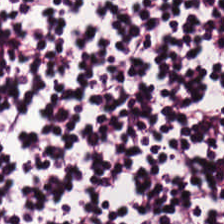FFPE; H&E.
Q: What does this patch show?
A: Lymphoid infiltrate.
